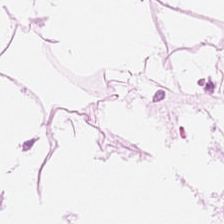Hematoxylin and eosin. Q: Identify the tissue.
A: This is adipose tissue.
